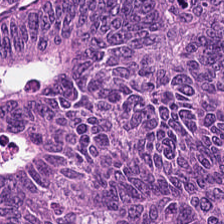Tissue class: colorectal adenocarcinoma epithelium.
